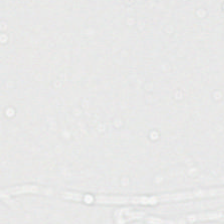Hematoxylin-and-eosin stained section. Formalin-fixed paraffin-embedded section. Impression → background.
